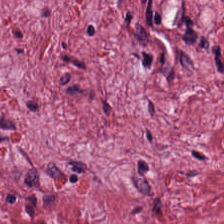H&E-stained tissue section — Tissue class = tumor-associated stroma.
